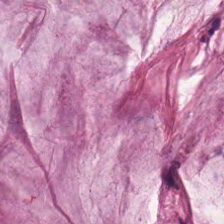Formalin-fixed paraffin-embedded section. Hematoxylin and eosin. The tissue here is mucin.
